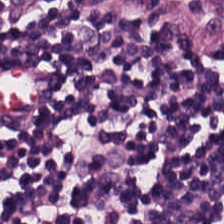H&E. Q: What type of tissue is this?
A: The field shows lymphoid infiltrate.
